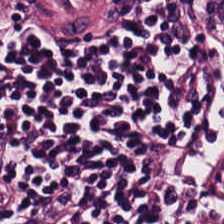Brightfield · hematoxylin and eosin — Classification — lymphoid infiltrate.
